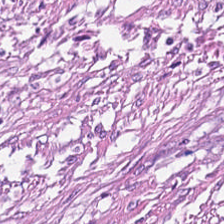H&E-stained tissue section.
Cancer-associated stroma.
